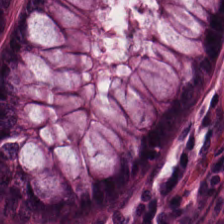The tissue is non-neoplastic colon mucosa.
